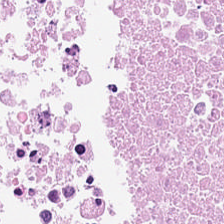Tissue type = necrotic debris.
